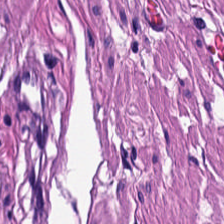H&E stain — Finding → smooth muscle.
